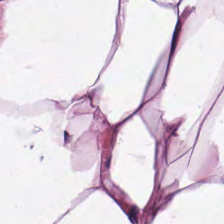H&E-stained section; the field shows adipocytes.
